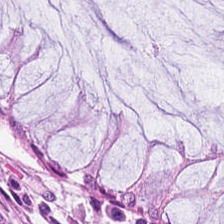H&E.
The predominant tissue is non-neoplastic colon mucosa.
